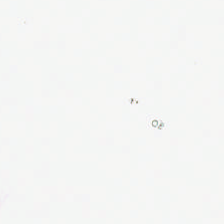The content is background.
